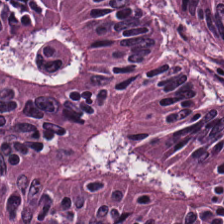H&E.
Tissue: malignant epithelium.
